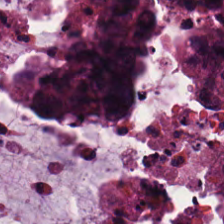Hematoxylin-and-eosin stained section; 0.5 µm/px — Predominant tissue — mucus.
